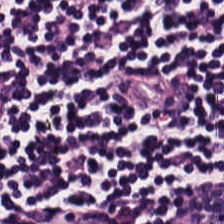224×224 pixel tile. Hematoxylin and eosin. Formalin-fixed paraffin-embedded section — This field is lymphocytes.
